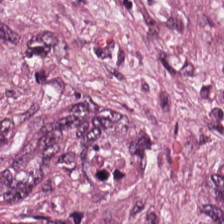Hematoxylin-and-eosin section: malignant epithelium.
